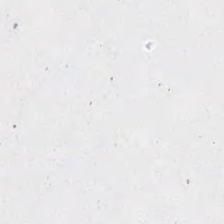WSI patch · hematoxylin and eosin.
Background — no tissue in this field.
